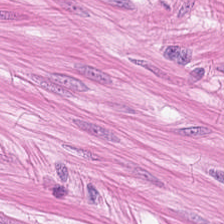Brightfield microscopy; H&E — Q: Identify the tissue.
A: The field shows smooth muscle.
